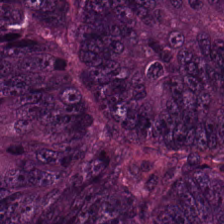H&E-stained tissue section — Histology — adenocarcinoma.
